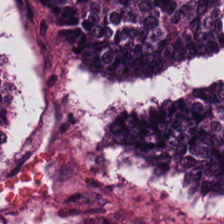Hematoxylin-and-eosin stained section.
Classification — colorectal adenocarcinoma.
